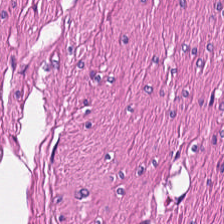Hematoxylin and eosin.
Q: What tissue type is shown here?
A: It is smooth muscle.
